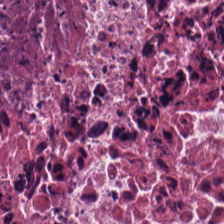Showing debris.
